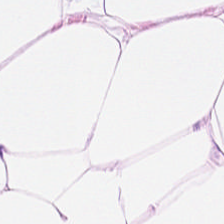Stain: hematoxylin-and-eosin stained section.
Classification: adipocytes.
